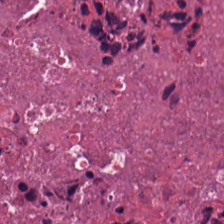WSI patch · H&E-stained tissue section · 224×224 pixel tile — This patch shows debris.
